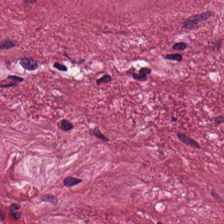Hematoxylin and eosin — Q: Classify this patch.
A: Desmoplastic stroma.
